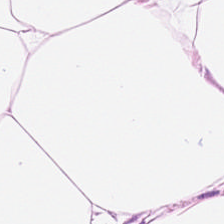Q: What is the predominant tissue type?
A: The field shows adipose.
